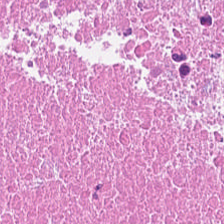Q: What is shown in this field?
A: This is cellular debris.
